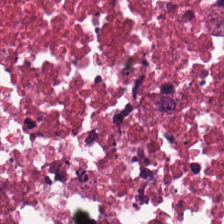Stain: H&E.
Predominant tissue: necrotic debris.
